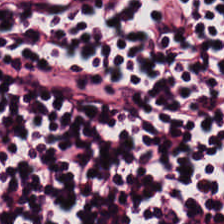H&E-stained tissue section. Whole-slide-image patch — Showing lymphoid infiltrate.
